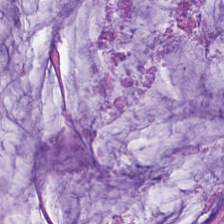20× equivalent magnification · hematoxylin and eosin · brightfield microscopy — Impression → mucus.
